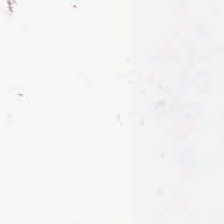224×224 px tile. H&E-stained tissue section. FFPE tissue section. Classification = background (no tissue).
